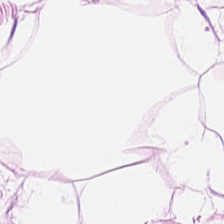Hematoxylin and eosin. 224×224 pixel tile.
Tissue: adipose tissue.
